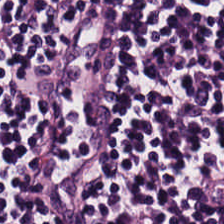Hematoxylin and eosin. 224×224 px tile — The predominant tissue is lymphocytic infiltrate.
